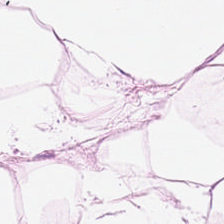H&E-stained tissue section · 0.5 µm/px — Adipose tissue.
